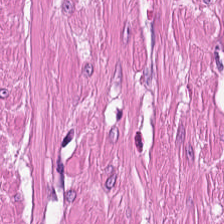H&E.
Tissue class — smooth-muscle tissue.
